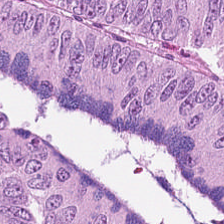Hematoxylin-and-eosin stained section. 0.5 µm/px — The tissue here is malignant epithelium.
